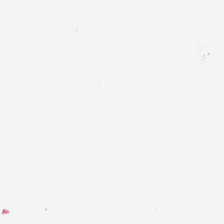Content = background (no tissue).
